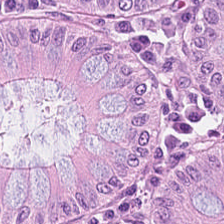Hematoxylin and eosin. 0.5 microns per pixel.
This patch shows normal colon mucosa.
